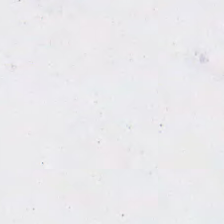0.5 µm per pixel · H&E-stained tissue section. This field is background (no tissue).
